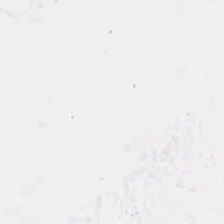H&E-stained tissue section.
This field is background (no tissue).
